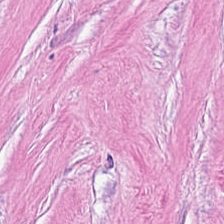H&E stain. 20× equivalent magnification.
{"tissue_type": "desmoplastic stroma"}
